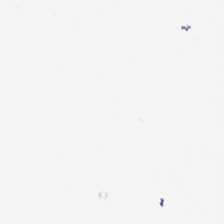H&E stain; formalin-fixed paraffin-embedded section; 0.5 µm/px — {"content": "no tissue"}
